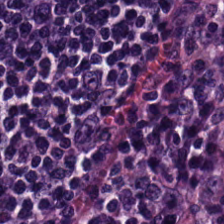H&E.
The predominant tissue is lymphocytes.
